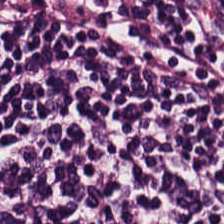H&E-stained tissue section — The predominant tissue is lymphocytes.
